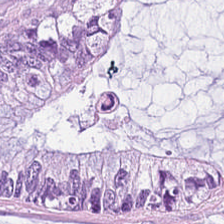Stain: H&E.
Classification: extracellular mucin.
